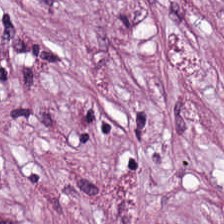Stain: H&E.
Tissue: tumor-associated stroma.
